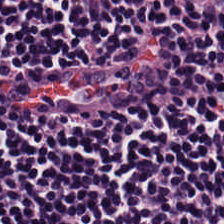Hematoxylin-and-eosin stained section. Impression — lymphocytes.
